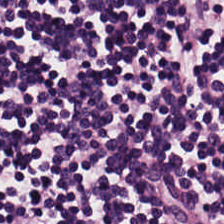Q: What tissue is shown?
A: Lymphoid infiltrate.
